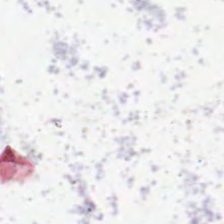WSI patch · H&E-stained tissue section · 224×224 px tile.
The content is background.
